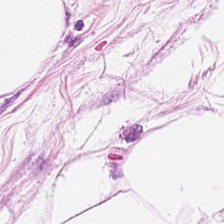H&E — This patch shows fat tissue.
